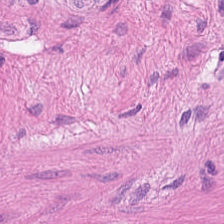H&E. Whole-slide-image patch. 224×224 px tile.
Finding → smooth muscle.
